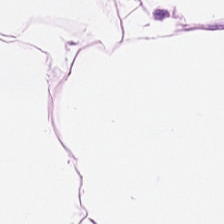H&E; FFPE tissue section; 224×224 pixel tile. Predominant tissue: adipose tissue.
